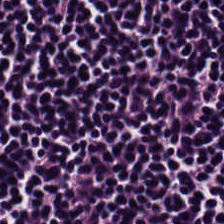Stain: H&E stain.
Predominant tissue: lymphocytes.
